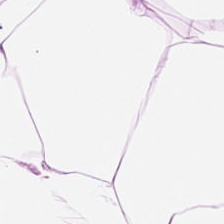Whole-slide-image patch. H&E-stained tissue section.
The tissue class is adipose.
